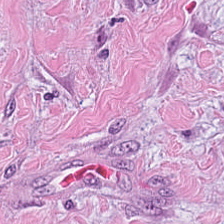Hematoxylin-and-eosin stained section.
Classification — desmoplastic stroma.
